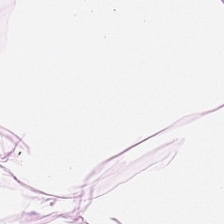Hematoxylin-and-eosin stained section; FFPE — Q: What tissue type is shown here?
A: Adipose tissue.
